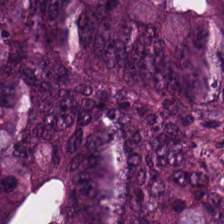Formalin-fixed paraffin-embedded section. Hematoxylin-and-eosin stained section.
The tissue here is colorectal adenocarcinoma.
